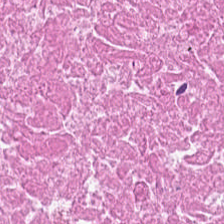H&E-stained tissue section; 224×224 px patch — Predominantly debris.
